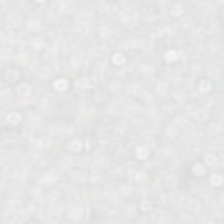Hematoxylin-and-eosin stained section — Background — no tissue in this field.
